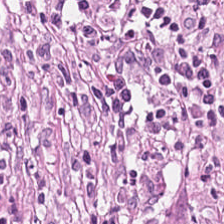Stain: H&E-stained tissue section.
Tissue type: tumor-associated stroma.
